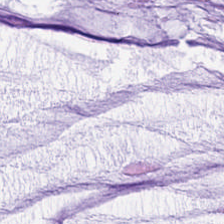H&E stain.
Impression — extracellular mucin.
